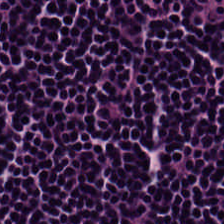H&E — The tissue is lymphocytes.
